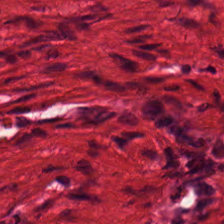WSI patch; H&E. Classification: muscularis.
